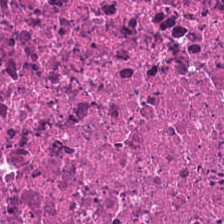H&E-stained tissue section; 20× equivalent magnification.
This patch shows debris.
